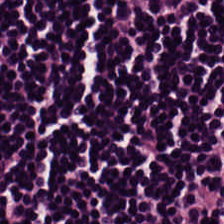Q: What is shown in this field?
A: Lymphocyte aggregate.
